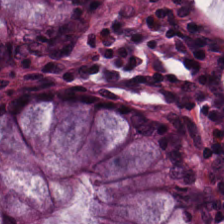H&E. Finding → normal colon mucosa.
